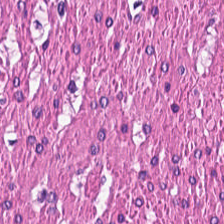Stain: H&E stain.
Tissue: smooth-muscle tissue.
